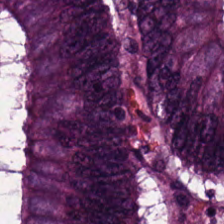H&E stain.
Predominantly tumor epithelium.
